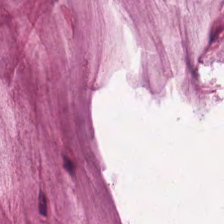Hematoxylin-and-eosin stained section. This patch shows mucin.
